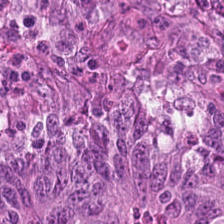Q: What is shown here?
A: The field shows colorectal adenocarcinoma epithelium.
